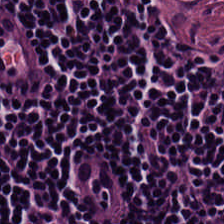H&E-stained tissue section · FFPE — {"tissue_type": "lymphocytic infiltrate"}
